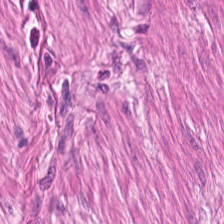This patch shows smooth-muscle tissue.
